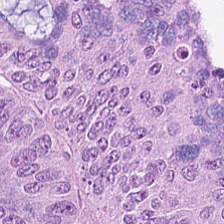H&E-stained tissue section; 0.5 microns per pixel — Tissue class — colorectal adenocarcinoma epithelium.
